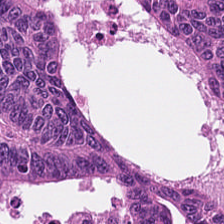Hematoxylin-and-eosin stained section. Predominant tissue = malignant epithelium.
